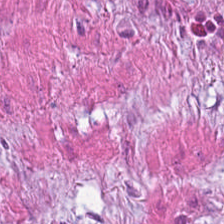H&E.
Q: What type of tissue is this?
A: It is smooth-muscle tissue.
